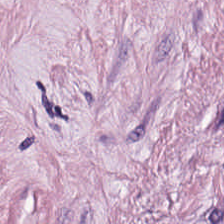0.5 µm per pixel. H&E-stained tissue section.
This field is tumor-associated stroma.
